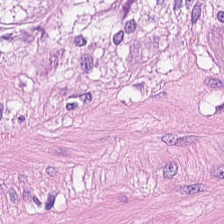0.5 µm per pixel · H&E-stained tissue section · 224×224 px tile.
Impression → muscularis.
